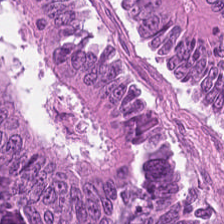Brightfield; H&E; 224×224 px patch — Malignant epithelium.
